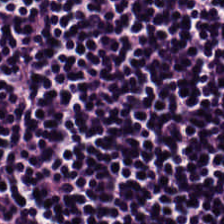Stain: hematoxylin and eosin.
Tissue: lymphocytes.
